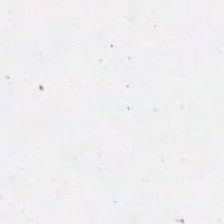Q: What does this patch show?
A: No tissue.
